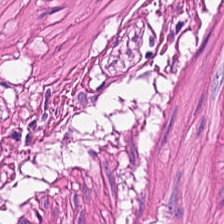Finding — muscularis.
